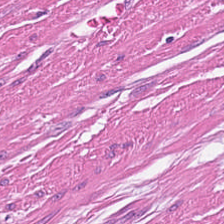H&E stain. Smooth-muscle tissue.
